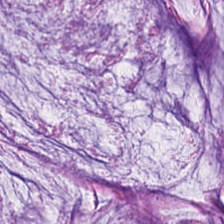20× equivalent magnification. H&E stain. Brightfield microscopy.
Impression — extracellular mucin.
